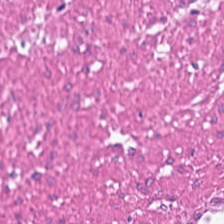H&E — smooth-muscle tissue.
